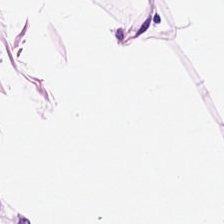H&E. FFPE. 224×224 px tile.
The predominant tissue is adipose.
